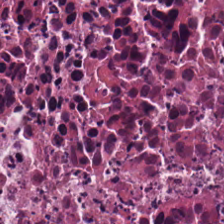H&E stain; 224×224 pixel tile. This field is debris.
